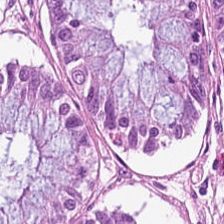H&E-stained tissue section · 0.5 microns per pixel. Predominantly non-neoplastic colon mucosa.
